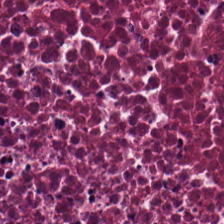Hematoxylin-and-eosin section: necrotic debris.
